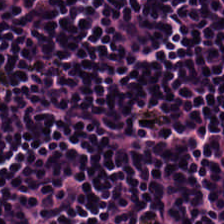H&E-stained tissue section · 0.5 µm per pixel · WSI patch — The predominant tissue is lymphocyte aggregate.
